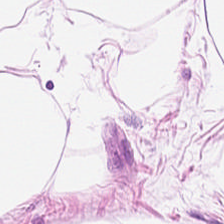Hematoxylin-and-eosin stained section — Adipose.
